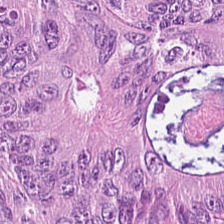20× equivalent magnification. Hematoxylin-and-eosin stained section.
Q: What does this patch show?
A: This is colorectal adenocarcinoma.
